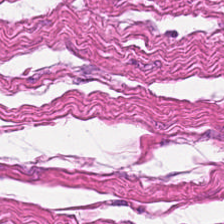Hematoxylin-and-eosin stained section — Predominantly smooth-muscle tissue.
